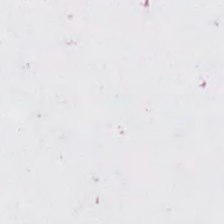H&E-stained tissue section. Brightfield. Q: What does this patch show?
A: This is empty background.
